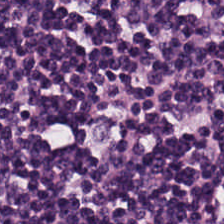H&E-stained tissue section. 20× equivalent magnification — Q: What tissue type is shown here?
A: The field shows lymphocytic infiltrate.
